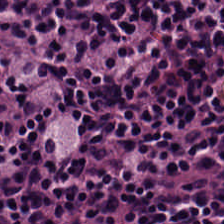Formalin-fixed paraffin-embedded section. H&E — The predominant tissue is lymphocytes.
